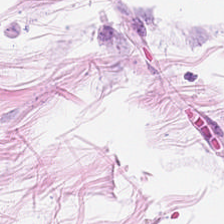Hematoxylin-and-eosin stained section. Impression — adipose tissue.
